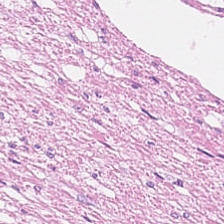H&E · brightfield microscopy.
Tissue type — smooth muscle.
